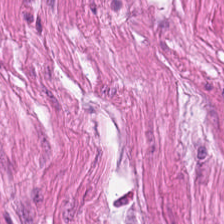0.5 microns per pixel. FFPE. H&E. Q: What is the predominant tissue type?
A: Muscularis.
